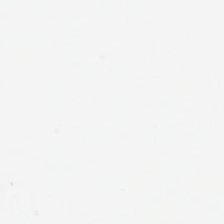Q: What is shown in this field?
A: The field shows background.
